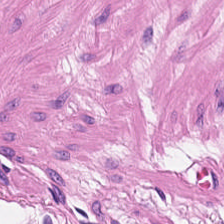FFPE tissue section · H&E stain. Predominant tissue = muscularis.
